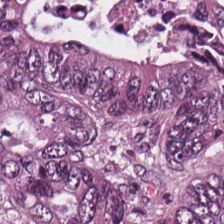H&E stain; 224×224 pixel tile — {"tissue_type": "tumor epithelium"}
